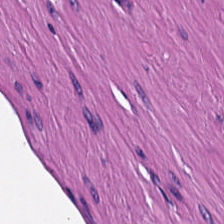This field is muscularis.
